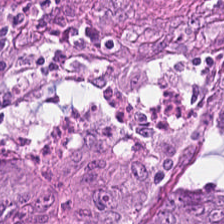The predominant tissue is colorectal adenocarcinoma epithelium.
